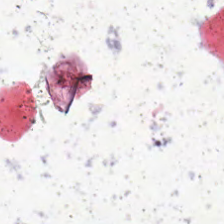Hematoxylin-and-eosin stained section. Q: What is shown here?
A: Background.
